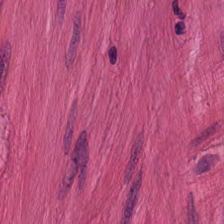The predominant tissue is muscularis.
